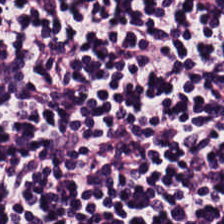H&E · 0.5 µm per pixel · 224×224 px patch. Impression — lymphocytes.
